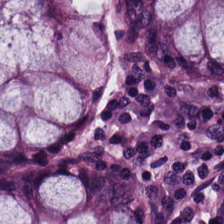H&E stain.
The tissue type is non-neoplastic colon mucosa.
